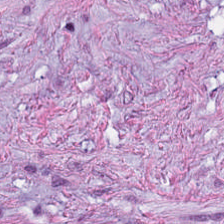H&E. Q: What is shown in this field?
A: This is tumor-associated stroma.
